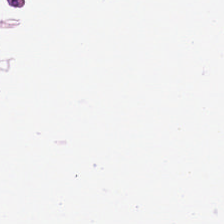Hematoxylin and eosin — The classification is adipose.
